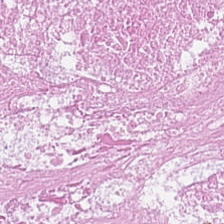Formalin-fixed paraffin-embedded section; H&E stain; 0.5 microns per pixel — Cellular debris.
